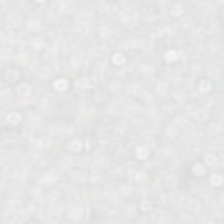Finding — empty background.
